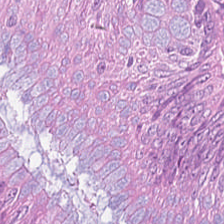Brightfield microscopy. Hematoxylin and eosin. The predominant tissue is colorectal adenocarcinoma epithelium.
